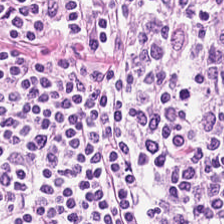H&E-stained tissue section — The predominant tissue is lymphocytes.
